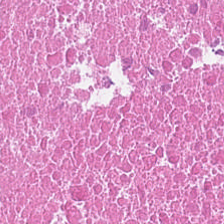Hematoxylin and eosin. Tissue: cellular debris.
